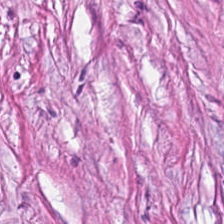Q: What is the predominant tissue type?
A: Tumor stroma.
